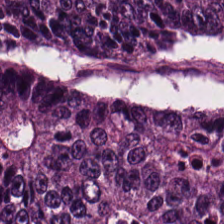Brightfield. Hematoxylin-and-eosin stained section. This field is tumor epithelium.
